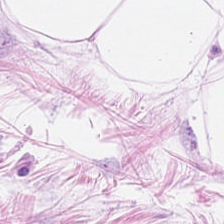Classification — fat tissue.
